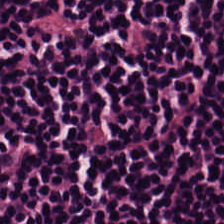H&E · whole-slide-image patch.
Q: Identify the tissue.
A: It is lymphoid infiltrate.
